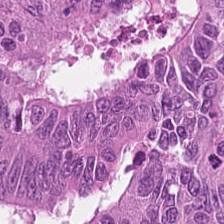0.5 microns per pixel; hematoxylin and eosin — Tissue type — colorectal adenocarcinoma.
